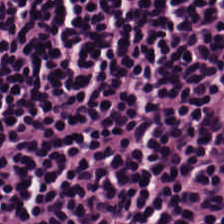Brightfield microscopy · H&E. The predominant tissue is lymphocytes.
